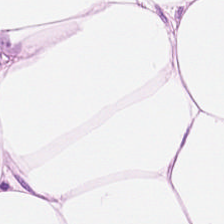Impression — adipose.
